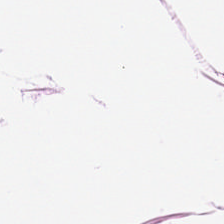H&E-stained tissue section. The tissue is fat tissue.
